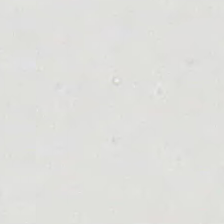0.5 µm/px; whole-slide-image patch; H&E stain. Q: What is shown in this field?
A: This is background (no tissue).
